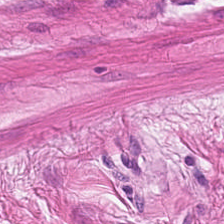20× equivalent magnification · hematoxylin and eosin — The tissue here is smooth muscle.
